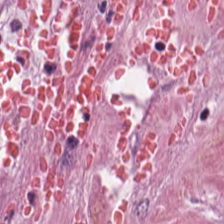Hematoxylin-and-eosin stained section.
Q: What tissue is shown?
A: This is cancer-associated stroma.
